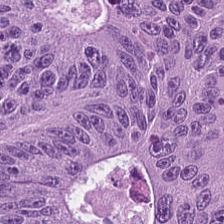Hematoxylin-and-eosin stained section.
Colorectal adenocarcinoma.
